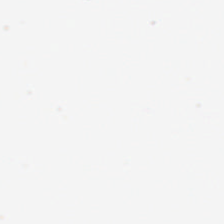Hematoxylin-and-eosin stained section — Content = no tissue.
